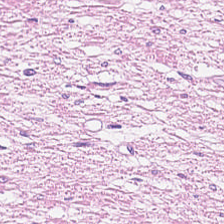224×224 px patch. Brightfield microscopy. H&E.
This field is smooth-muscle tissue.
